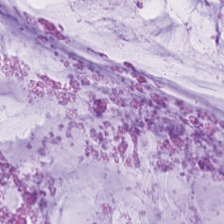Showing mucin.
